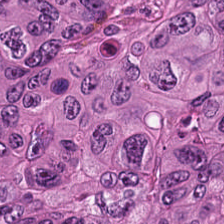H&E stain.
Impression → colorectal adenocarcinoma epithelium.
